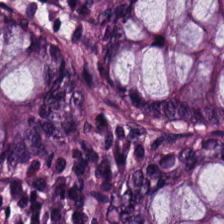H&E stain. 0.5 µm per pixel.
Predominantly non-neoplastic colon mucosa.
